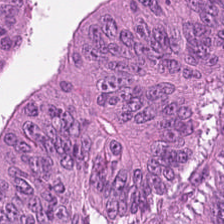Hematoxylin and eosin — Q: What does this patch show?
A: It is colorectal adenocarcinoma epithelium.
